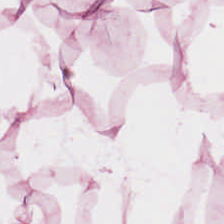Hematoxylin and eosin.
Tissue = adipose.
